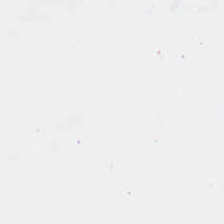H&E stain.
Field content = background.
